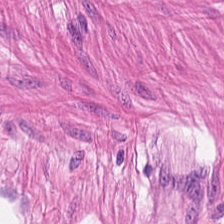Hematoxylin and eosin. Q: What type of tissue is this?
A: The field shows smooth-muscle tissue.
